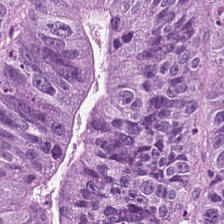Hematoxylin-and-eosin stained section — Showing colorectal adenocarcinoma epithelium.
